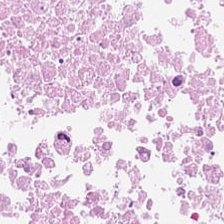Hematoxylin and eosin — Showing cellular debris.
